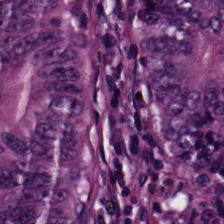This field is adenocarcinoma.
